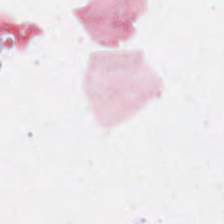H&E. {"content": "background"}
